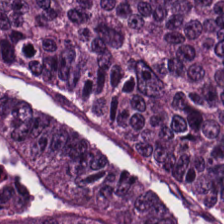H&E-stained tissue section · FFPE.
Tumor epithelium.
